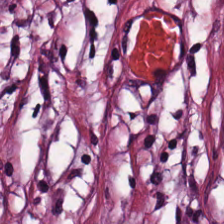Tissue type = tumor stroma.
